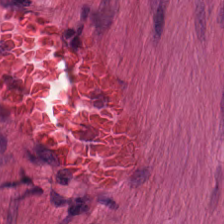Hematoxylin-and-eosin stained section.
Showing smooth-muscle tissue.
